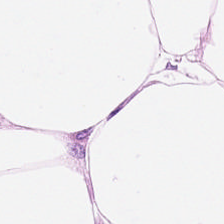Stain: hematoxylin-and-eosin stained section.
Resolution: 0.5 µm/px.
Tissue: adipose.
